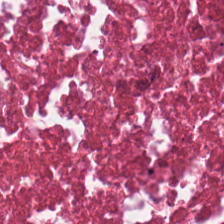Brightfield microscopy; H&E stain; 0.5 µm per pixel — The tissue class is debris.
